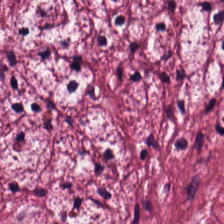The tissue here is desmoplastic stroma.
